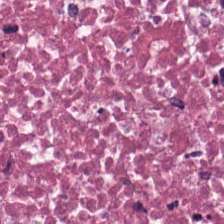H&E; FFPE tissue section — Tissue class: debris.
